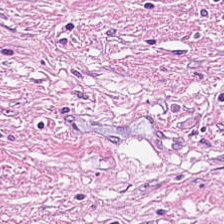H&E-stained tissue section showing cancer-associated stroma.
